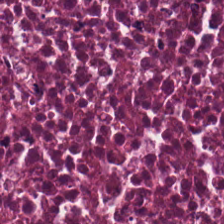FFPE tissue section · H&E.
Q: Classify this patch.
A: This is cellular debris.
